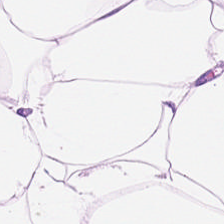Stain: H&E.
Predominant tissue: adipocytes.
